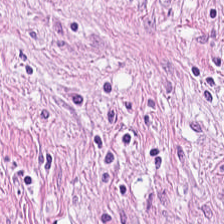Hematoxylin-and-eosin stained section. The tissue class is tumor stroma.
